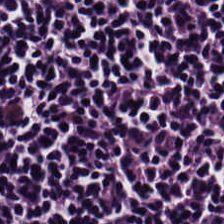Brightfield microscopy. H&E.
Q: Classify this patch.
A: It is lymphoid infiltrate.
